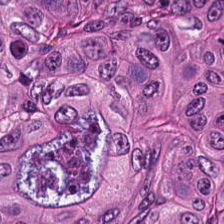H&E.
Predominantly malignant epithelium.
